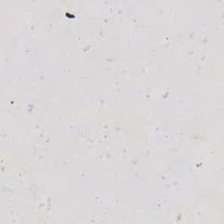H&E — Background (no tissue).
